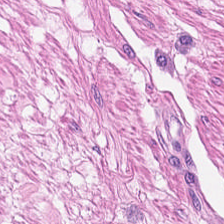H&E patch showing smooth muscle.
